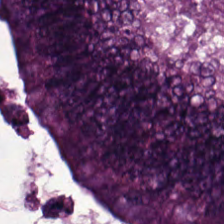Q: What type of tissue is this?
A: This is tumor epithelium.
